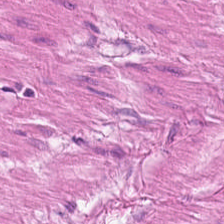H&E-stained tissue section — The tissue here is smooth muscle.
